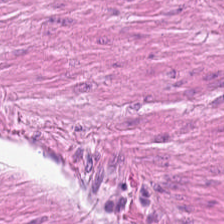Stain: H&E.
Tile size: 224×224 px tile.
Tissue type: smooth-muscle tissue.
